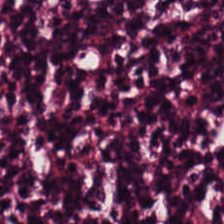Stain: hematoxylin and eosin.
Classification: lymphocyte aggregate.
